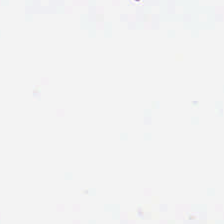H&E — {"content": "no tissue"}
